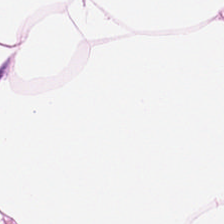Hematoxylin and eosin. This patch shows adipocytes.
